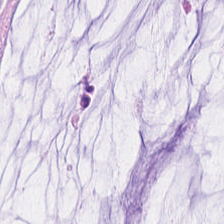The predominant tissue is mucin.
